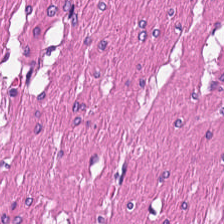Tissue type: smooth muscle.
